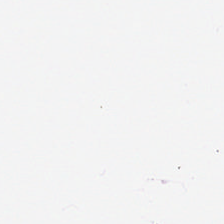WSI patch · FFPE tissue section · hematoxylin-and-eosin stained section.
Q: What type of tissue is this?
A: It is fat tissue.
